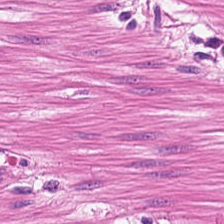H&E-stained tissue section · 20× equivalent magnification. {"tissue_type": "muscularis"}
